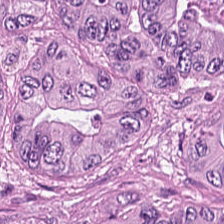H&E. 224×224 px patch.
This field is colorectal adenocarcinoma epithelium.
